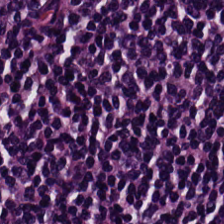FFPE tissue section. H&E. 224×224 px patch. Tissue = lymphoid infiltrate.
